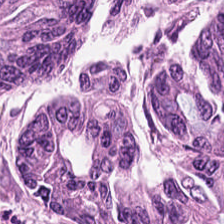H&E. 0.5 microns per pixel.
Impression — adenocarcinoma.
